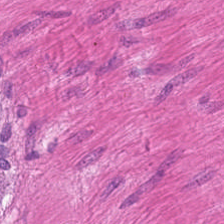Brightfield microscopy; H&E — Q: What does this patch show?
A: Smooth muscle.
